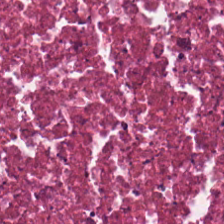Hematoxylin-and-eosin stained section. Q: What is shown here?
A: Cellular debris.
